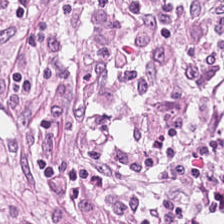The tissue is tumor stroma.
